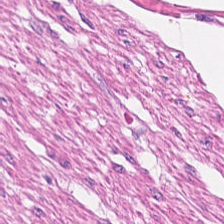0.5 µm per pixel · H&E — The tissue class is muscularis.
